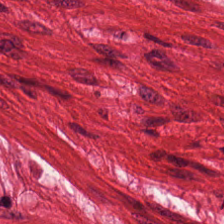H&E · brightfield — Tissue type — muscularis.
